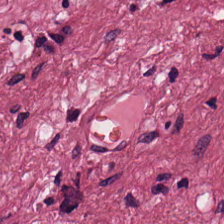Q: What is shown here?
A: The field shows tumor-associated stroma.
